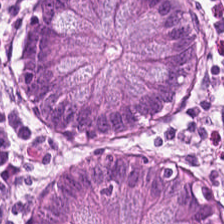Formalin-fixed paraffin-embedded section · H&E stain. The tissue here is normal colonic mucosa.
